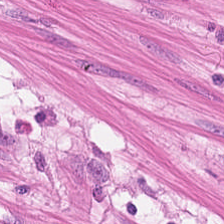Hematoxylin-and-eosin stained section; FFPE. Predominantly smooth muscle.
